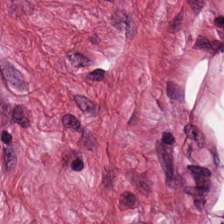H&E stain — The tissue here is cancer-associated stroma.
